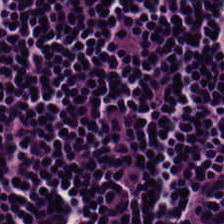Hematoxylin-and-eosin stained section · 224×224 px patch.
Q: What does this patch show?
A: It is lymphocytes.
